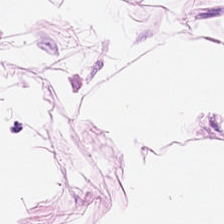Q: Identify the tissue.
A: The field shows adipose.
